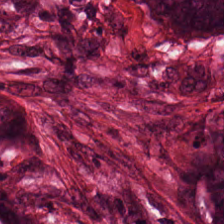H&E-stained section; the field shows malignant epithelium.
